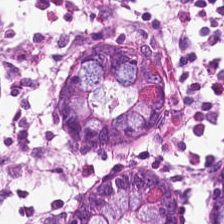0.5 µm/px · hematoxylin and eosin — Tissue class: non-neoplastic colon mucosa.
